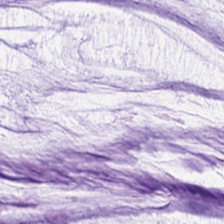H&E-stained tissue section. Predominantly mucus.
